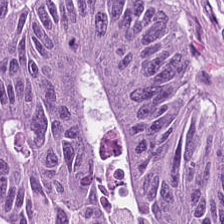H&E. Whole-slide-image patch. FFPE.
The predominant tissue is adenocarcinoma.
